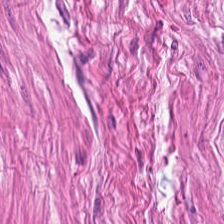Stain: H&E-stained tissue section.
Acquisition: brightfield microscopy.
Tissue class: smooth muscle.
